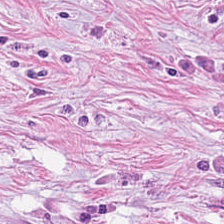Hematoxylin and eosin — Tumor-associated stroma.
